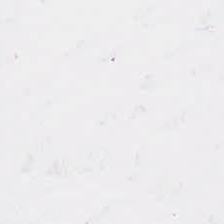H&E stain.
Q: Classify this patch.
A: It is empty background.
